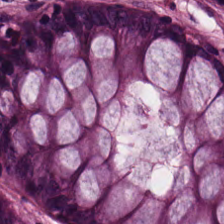Hematoxylin-and-eosin stained section · formalin-fixed paraffin-embedded section — Predominant tissue — benign colonic mucosa.
